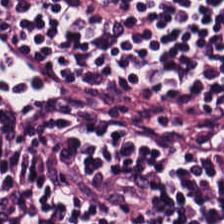0.5 µm/px; hematoxylin and eosin — Classification: lymphocyte aggregate.
